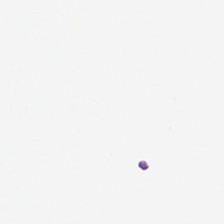Hematoxylin and eosin; formalin-fixed paraffin-embedded section — Content — background (no tissue).
